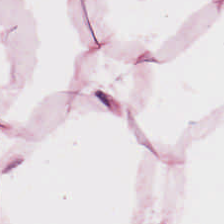Tissue type = adipose.
